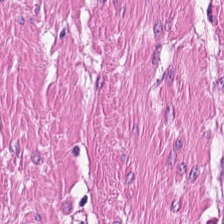Hematoxylin and eosin.
Impression → smooth-muscle tissue.
